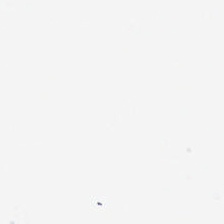Stain: H&E stain.
Resolution: 0.5 microns per pixel.
Preparation: formalin-fixed paraffin-embedded section.
Classification: no tissue.
